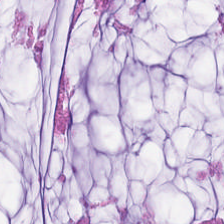Finding → mucin.
